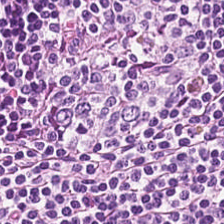H&E-stained tissue section. Brightfield. 224×224 px tile. Tissue: lymphocytes.
